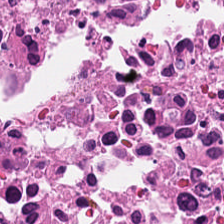Histology — necrotic debris.
